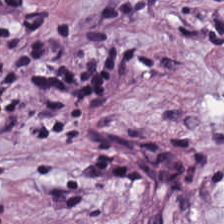0.5 microns per pixel. Hematoxylin-and-eosin stained section. Showing desmoplastic stroma.
